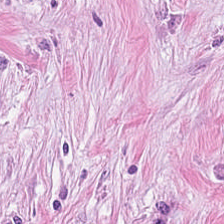Hematoxylin and eosin. Desmoplastic stroma.
